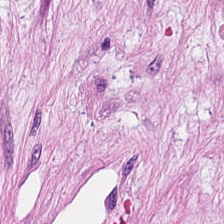H&E stain — This patch shows cancer-associated stroma.
